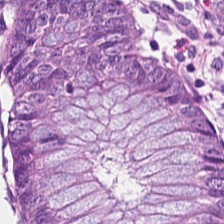H&E-stained section; the field shows non-neoplastic colon mucosa.
